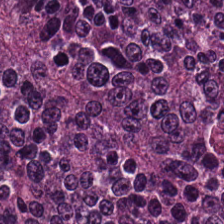Showing tumor epithelium.
